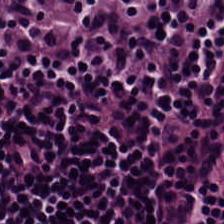Hematoxylin-and-eosin stained section. Finding — lymphocytic infiltrate.
